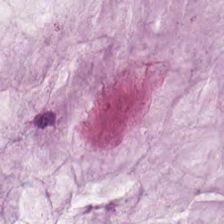H&E patch showing mucus.
